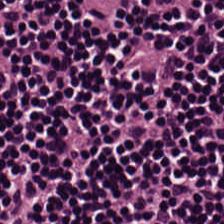FFPE. Hematoxylin-and-eosin stained section — The predominant tissue is lymphocyte aggregate.
